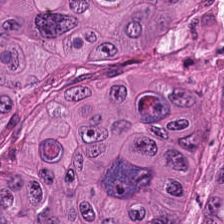Tissue class — malignant epithelium.
